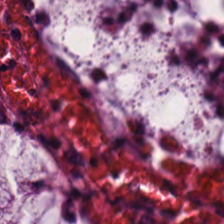The tissue here is non-neoplastic colon mucosa.
